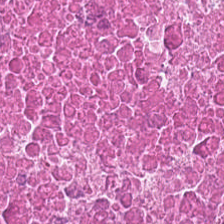H&E. WSI patch.
Impression — debris.
